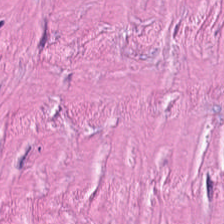Hematoxylin and eosin. The predominant tissue is tumor-associated stroma.
